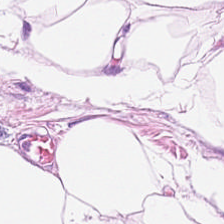H&E stain. Tissue: adipose tissue.
